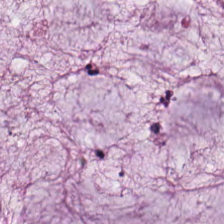Hematoxylin-and-eosin stained section — The tissue is mucus.
